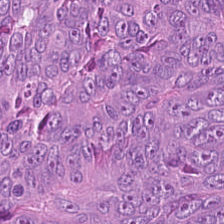Stain: hematoxylin-and-eosin stained section.
Classification: colorectal adenocarcinoma.
